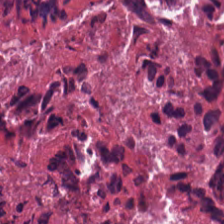H&E-stained tissue section. Impression — cellular debris.
